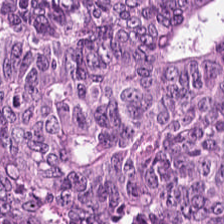Brightfield; H&E-stained tissue section.
Predominantly malignant epithelium.
